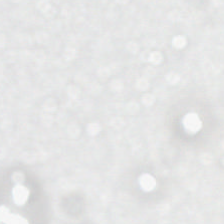H&E.
The field content is background.
